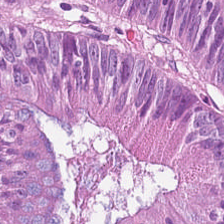Hematoxylin-and-eosin stained section · 224×224 px tile.
This field is malignant epithelium.
